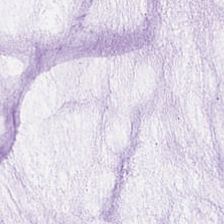H&E stain; FFPE tissue section. The tissue here is extracellular mucin.
